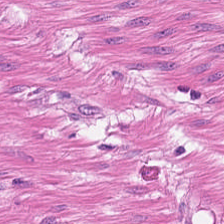FFPE; H&E stain.
Impression — smooth muscle.
